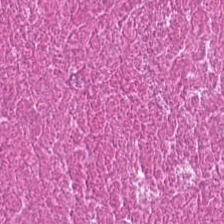The tissue type is debris.
